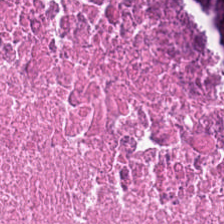H&E stain. Formalin-fixed paraffin-embedded section — Impression → debris.
